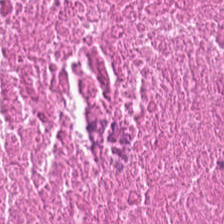Hematoxylin-and-eosin stained section; 224×224 pixel tile; whole-slide-image patch — {"tissue_type": "debris"}
